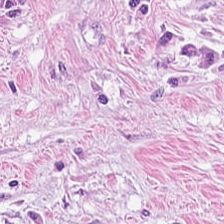H&E stain · FFPE — The predominant tissue is desmoplastic stroma.
